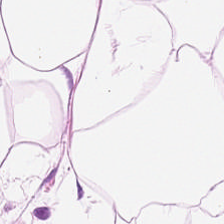Stain: H&E stain.
Resolution: 0.5 µm/px.
Preparation: formalin-fixed paraffin-embedded section.
Tissue type: adipose.
